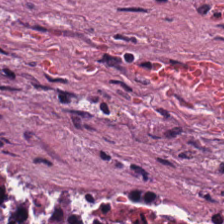H&E-stained tissue section · 0.5 µm/px · 224×224 px patch — {"tissue_type": "tumor-associated stroma"}
